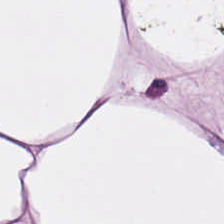Adipose tissue.
